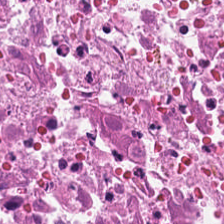Hematoxylin and eosin; 224×224 px patch; 0.5 microns per pixel. Tissue type = debris.
